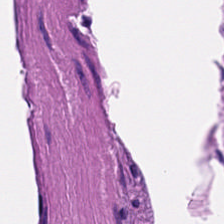Impression — smooth muscle.
